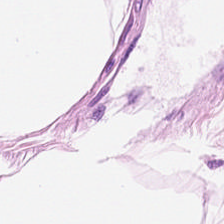H&E-stained tissue section. 224×224 pixel tile. FFPE.
Showing fat tissue.
